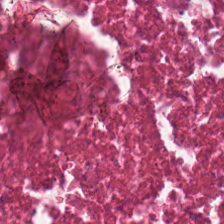20× equivalent magnification · H&E stain · WSI patch — Tissue = debris.
